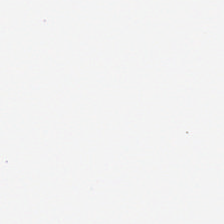Q: What is shown here?
A: No tissue.
